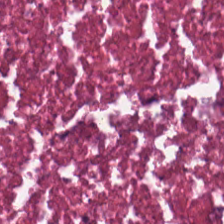H&E — Q: Identify the tissue.
A: This is cellular debris.
